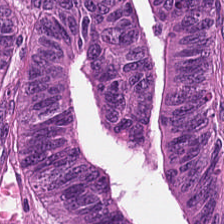H&E-stained tissue section — Malignant epithelium.
